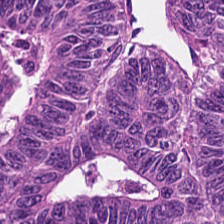Whole-slide-image patch. H&E. 224×224 px tile.
This field is colorectal adenocarcinoma.
